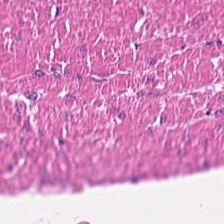Smooth-muscle tissue.
